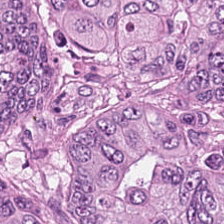The tissue is adenocarcinoma.
